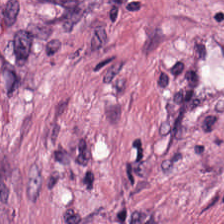H&E-stained tissue section. FFPE. This patch shows tumor stroma.
